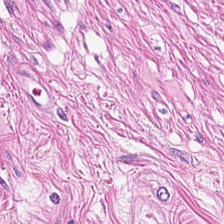Hematoxylin-and-eosin stained section — Impression → smooth-muscle tissue.
